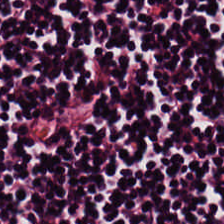Stain: H&E-stained tissue section.
Tile size: 224×224 pixel tile.
Classification: lymphocyte aggregate.
